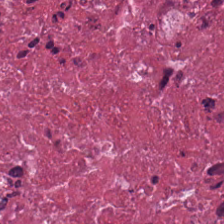224×224 px patch; 0.5 microns per pixel; H&E.
The tissue here is cellular debris.
